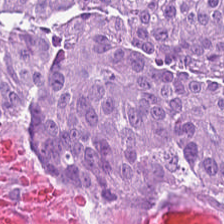H&E-stained tissue section. 0.5 µm per pixel — Tissue class: adenocarcinoma.
